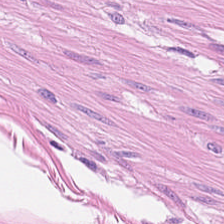Hematoxylin-and-eosin stained section — Muscularis.
